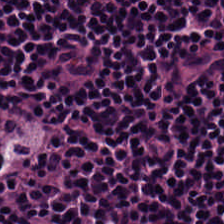Hematoxylin-and-eosin section: lymphoid infiltrate.
